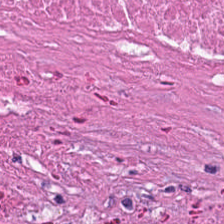H&E — Impression — cellular debris.
